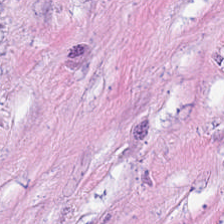Whole-slide-image patch. H&E-stained tissue section. Showing tumor stroma.
